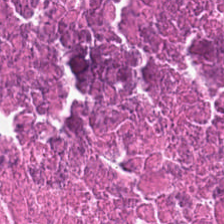Hematoxylin and eosin.
Q: What tissue is shown?
A: Cellular debris.
